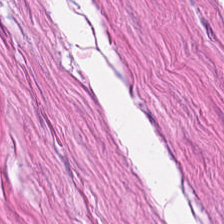H&E. Brightfield microscopy. 0.5 µm/px.
Classification = smooth muscle.
